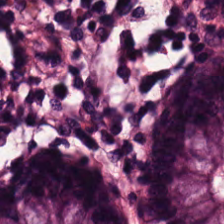Showing non-neoplastic colon mucosa.
